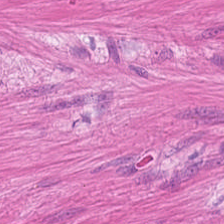Q: What tissue is shown?
A: This is smooth-muscle tissue.
